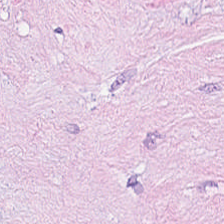224×224 px tile; hematoxylin and eosin.
Q: What does this patch show?
A: The field shows tumor stroma.
